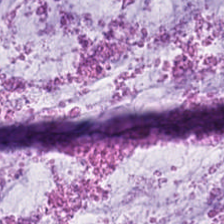The predominant tissue is extracellular mucin.
